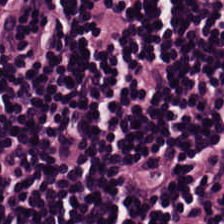Stain: hematoxylin-and-eosin stained section.
Classification: lymphocytic infiltrate.
